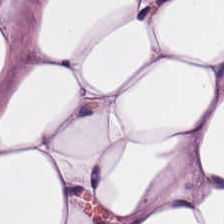Hematoxylin-and-eosin stained section; brightfield microscopy; 224×224 px patch — {"tissue_type": "adipocytes"}
